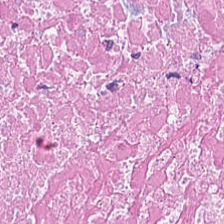Hematoxylin-and-eosin section: cellular debris.
